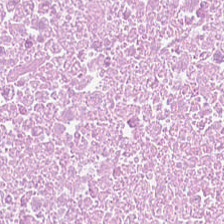Showing cellular debris.
